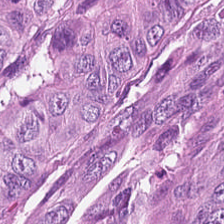H&E stain — Histology → malignant epithelium.
